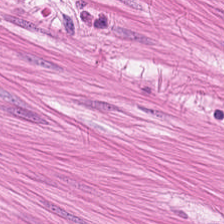Hematoxylin and eosin; 224×224 pixel tile; FFPE — This patch shows smooth muscle.
